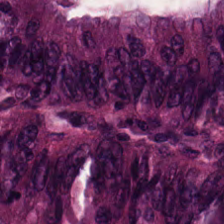Hematoxylin-and-eosin stained section.
Histology → adenocarcinoma.
